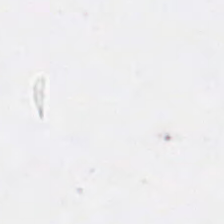Background (no tissue).
